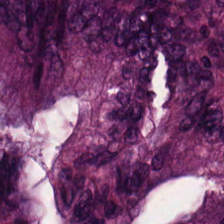H&E; FFPE.
The classification is adenocarcinoma.
